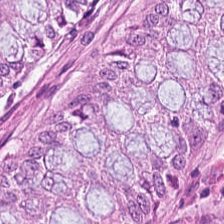H&E stain — The classification is normal colon mucosa.
